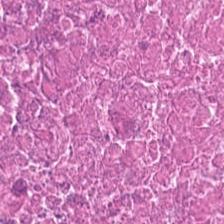FFPE; H&E — Q: What tissue is shown?
A: Debris.
